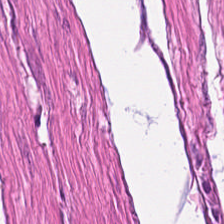H&E stain. Showing muscularis.
